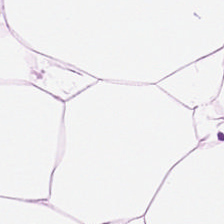Stain: hematoxylin and eosin.
Classification: adipocytes.
